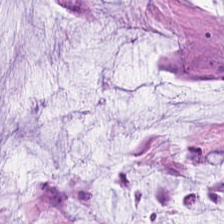Finding → mucin.
